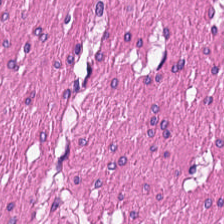Hematoxylin and eosin.
Tissue: muscularis.
